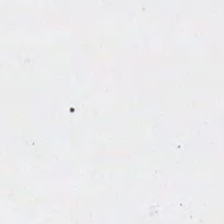WSI patch · H&E stain — Background — no tissue in this field.
